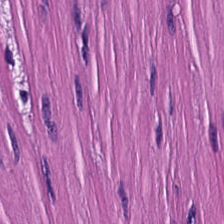Formalin-fixed paraffin-embedded section. Brightfield microscopy. Hematoxylin and eosin.
Q: Classify this patch.
A: It is smooth-muscle tissue.
